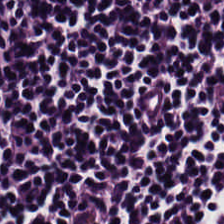Hematoxylin-and-eosin stained section; 224×224 px patch. Finding — lymphocytic infiltrate.
